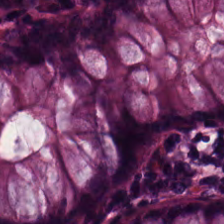224×224 px tile · hematoxylin-and-eosin stained section.
Tissue type = normal colon mucosa.
